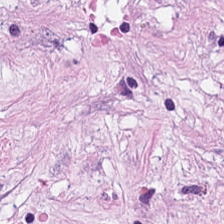Hematoxylin and eosin · WSI patch — Finding — tumor-associated stroma.
